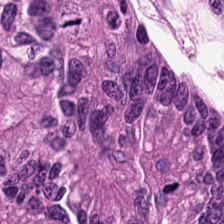224×224 px patch; hematoxylin-and-eosin stained section; 0.5 microns per pixel. The predominant tissue is malignant epithelium.
